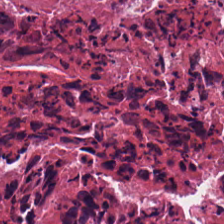H&E-stained tissue section showing necrotic debris.
